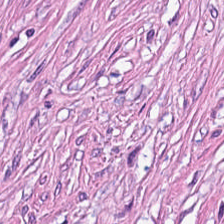H&E-stained tissue section.
Predominantly cancer-associated stroma.
